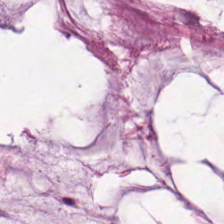{"tissue_type": "mucus"}
